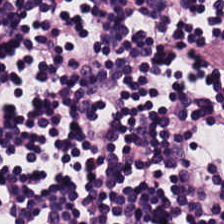H&E stain — Lymphocytes.
